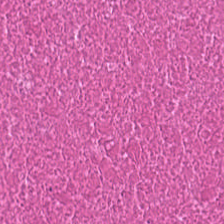Hematoxylin-and-eosin stained section; 0.5 µm/px — Necrotic debris.
